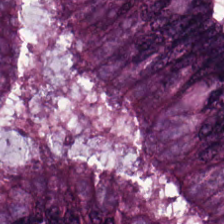H&E. Showing adenocarcinoma.
